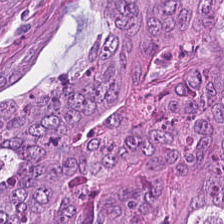Finding — colorectal adenocarcinoma epithelium.
